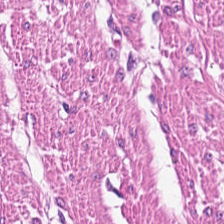Hematoxylin and eosin.
Predominantly smooth muscle.
